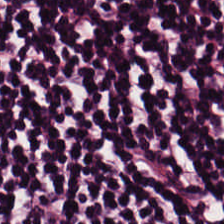H&E-stained tissue section; 0.5 µm/px — Finding — lymphocyte aggregate.
